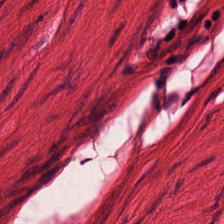H&E stain.
Predominantly smooth-muscle tissue.
